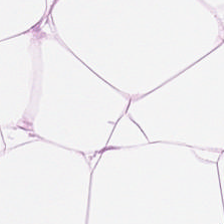Hematoxylin and eosin · 224×224 pixel tile · FFPE tissue section — The tissue type is adipose.
